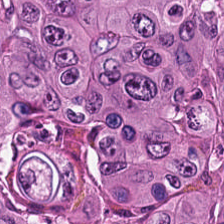Brightfield · FFPE tissue section · hematoxylin and eosin. This patch shows tumor epithelium.
